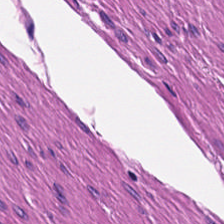224×224 pixel tile · 0.5 microns per pixel · hematoxylin and eosin. Smooth-muscle tissue.
